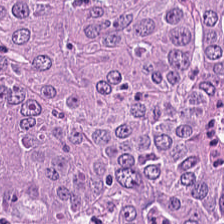224×224 px patch. H&E-stained tissue section. Tissue type = malignant epithelium.
